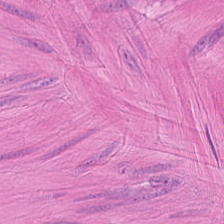224×224 px tile. Hematoxylin and eosin. Formalin-fixed paraffin-embedded section.
{"tissue_type": "muscularis"}
